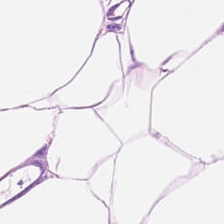Hematoxylin and eosin — {"tissue_type": "adipose tissue"}
